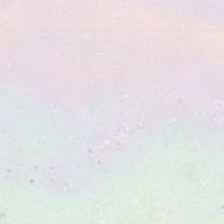Hematoxylin and eosin.
This patch shows no tissue.
